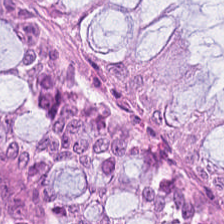Hematoxylin-and-eosin stained section.
Q: Classify this patch.
A: The field shows normal colonic mucosa.
